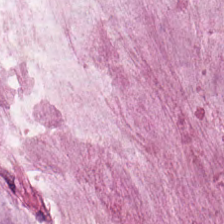FFPE; 20× equivalent magnification; hematoxylin and eosin — {"tissue_type": "mucin"}
